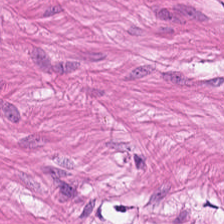H&E stain — This field is smooth muscle.
